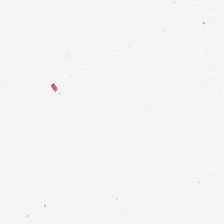WSI patch. H&E. 0.5 µm per pixel. Q: What is shown here?
A: This is empty background.
